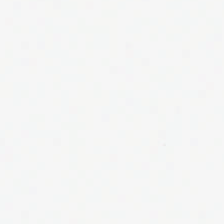224×224 px patch · H&E-stained tissue section — No tissue present; background only.
